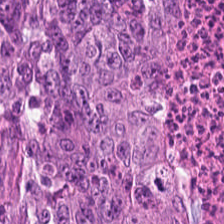Hematoxylin and eosin. {"tissue_type": "colorectal adenocarcinoma epithelium"}
